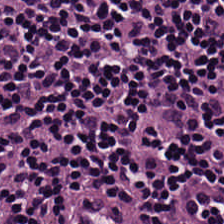Q: What tissue is shown?
A: Lymphocyte aggregate.
